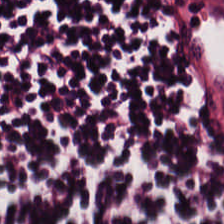Q: Classify this patch.
A: This is lymphocytic infiltrate.
